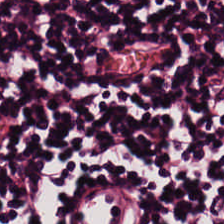Q: What type of tissue is this?
A: It is lymphoid infiltrate.
